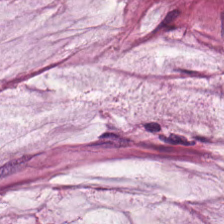Whole-slide-image patch · hematoxylin-and-eosin stained section. The tissue class is mucin.
